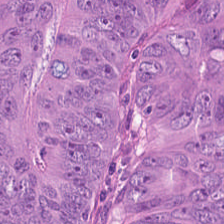Hematoxylin and eosin. Finding → tumor epithelium.
